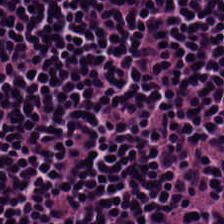Hematoxylin-and-eosin stained section; 224×224 px tile; formalin-fixed paraffin-embedded section. The tissue here is lymphocytes.
